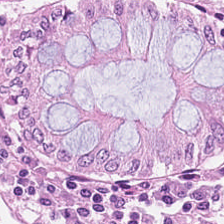Predominant tissue — benign colonic mucosa.
